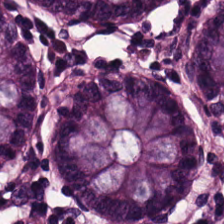H&E.
Showing normal colonic mucosa.
